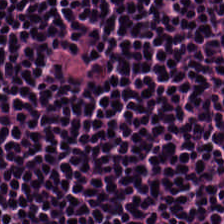H&E. Q: What does this patch show?
A: It is lymphocytes.
